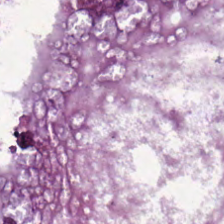Stain: hematoxylin and eosin.
Acquisition: brightfield.
Tissue class: tumor epithelium.
